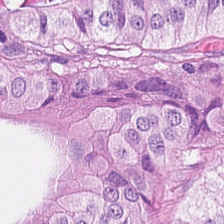Stain: H&E stain.
Classification: colorectal adenocarcinoma epithelium.
